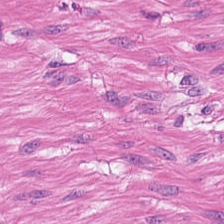The tissue is smooth-muscle tissue.
